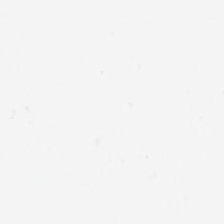H&E — Content = background.
